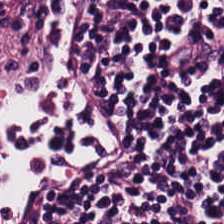H&E stain — The tissue type is lymphocytes.
